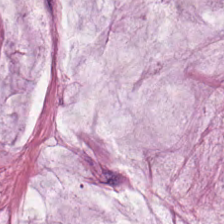Hematoxylin-and-eosin stained section.
Extracellular mucin.
